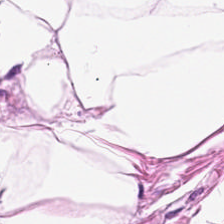224×224 px tile. Hematoxylin-and-eosin stained section.
Q: What tissue type is shown here?
A: It is adipose.
